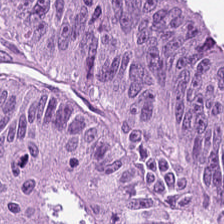Hematoxylin and eosin — Q: Classify this patch.
A: The field shows colorectal adenocarcinoma.
